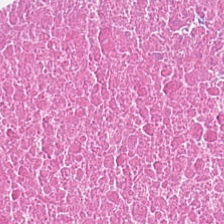Hematoxylin-and-eosin stained section.
Tissue class = debris.
